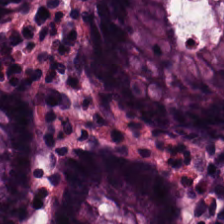H&E · 224×224 px tile.
Impression — benign colonic mucosa.
